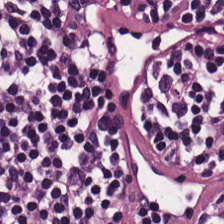The predominant tissue is lymphocytes.
